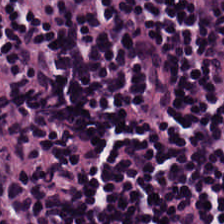H&E stain; FFPE tissue section — This patch shows lymphocytic infiltrate.
